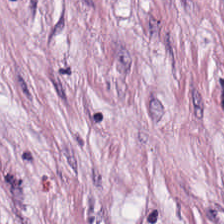H&E patch showing tumor stroma.
